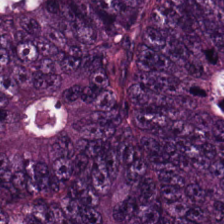Hematoxylin and eosin — Predominantly adenocarcinoma.
